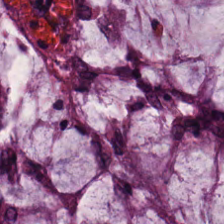224×224 px patch. H&E — Q: What tissue type is shown here?
A: This is normal colon mucosa.
